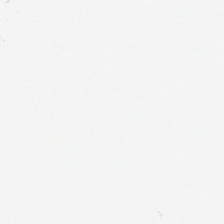20× equivalent magnification; H&E.
This patch shows background.
